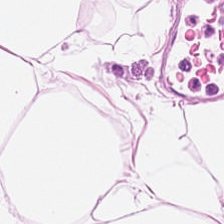Histology → adipose.
